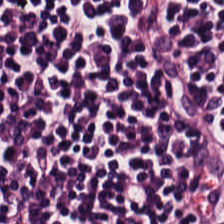H&E · whole-slide-image patch · 224×224 px tile. Q: What does this patch show?
A: The field shows lymphocytic infiltrate.
